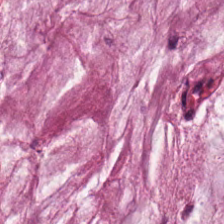Hematoxylin and eosin. {"tissue_type": "mucus"}
